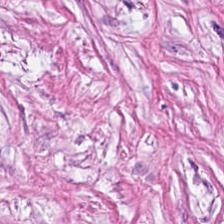Formalin-fixed paraffin-embedded section · brightfield · hematoxylin-and-eosin stained section.
The tissue type is tumor stroma.
